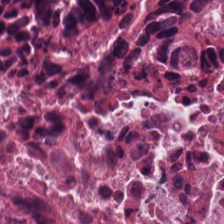Q: What is shown in this field?
A: The field shows necrotic debris.
